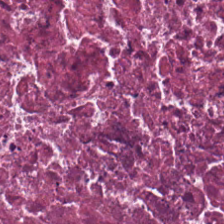Stain: H&E.
Predominant tissue: debris.
